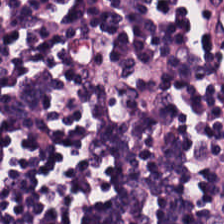H&E stain · FFPE — Tissue = lymphocytes.
